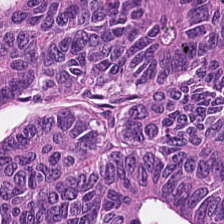Q: What tissue type is shown here?
A: Malignant epithelium.
